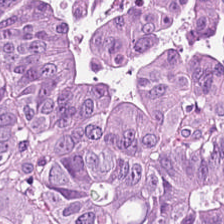H&E-stained tissue section.
This field is malignant epithelium.
